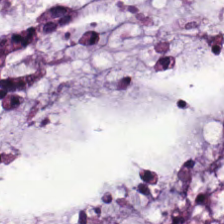FFPE tissue section · H&E stain.
{"tissue_type": "mucin"}
